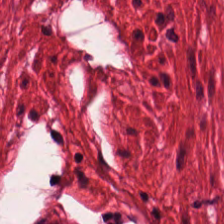0.5 µm per pixel; H&E-stained tissue section.
Predominant tissue = smooth-muscle tissue.
